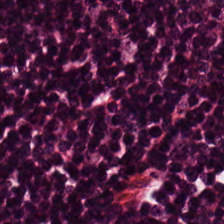H&E stain. The tissue here is lymphocytes.
